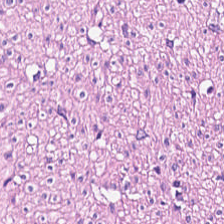Classification — smooth-muscle tissue.
